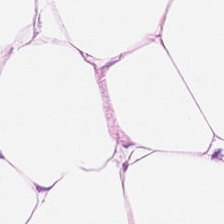0.5 microns per pixel · H&E-stained tissue section.
Impression — adipose tissue.
